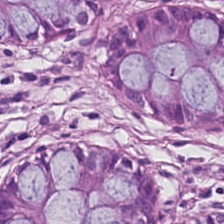Hematoxylin-and-eosin stained section · WSI patch · 224×224 px tile. Finding — normal colonic mucosa.
